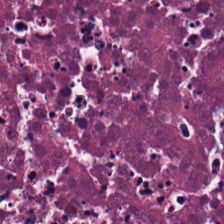Stain: hematoxylin-and-eosin stained section.
Resolution: 0.5 µm per pixel.
Tile size: 224×224 px patch.
Classification: cellular debris.
